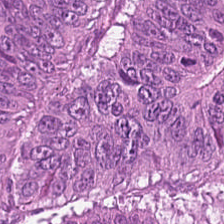H&E-stained tissue section; FFPE tissue section.
Q: What tissue is shown?
A: It is malignant epithelium.
